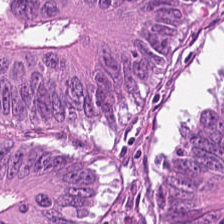H&E. Histology → colorectal adenocarcinoma.
